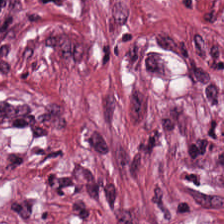H&E; 0.5 µm/px.
Tissue class — cancer-associated stroma.
